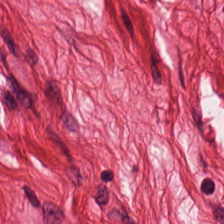Stain: H&E.
Preparation: FFPE tissue section.
Tissue type: muscularis.
